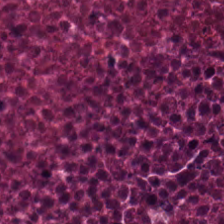Hematoxylin-and-eosin stained section.
The classification is debris.
